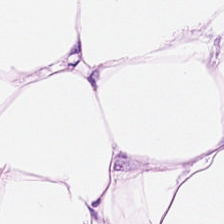H&E-stained tissue section. Adipose tissue.
